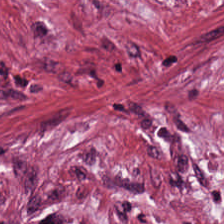Classification — cancer-associated stroma.
